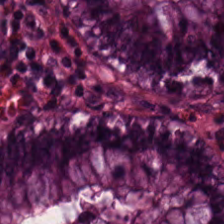Brightfield. FFPE tissue section. H&E stain.
Normal colon mucosa.
